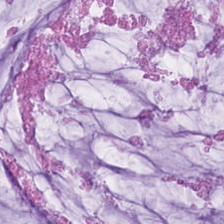H&E-stained section; the field shows extracellular mucin.
